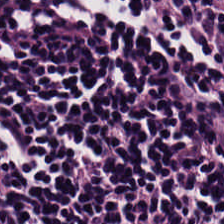Q: Identify the tissue.
A: It is lymphocytes.
